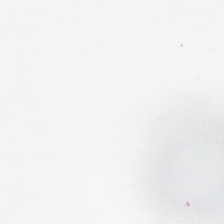Hematoxylin and eosin — {"content": "background"}
